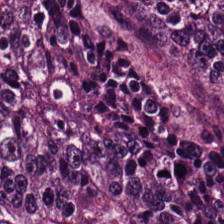H&E-stained tissue section; 224×224 px patch; whole-slide-image patch.
Showing tumor epithelium.
